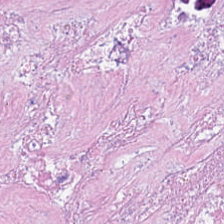H&E-stained tissue section.
Predominant tissue — necrotic debris.
